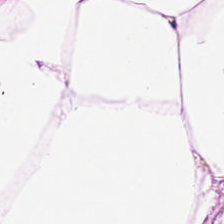Whole-slide-image patch. H&E-stained tissue section. Classification = adipocytes.
